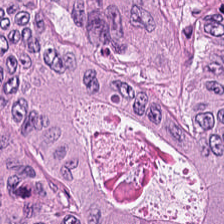Hematoxylin and eosin. Predominantly colorectal adenocarcinoma epithelium.
